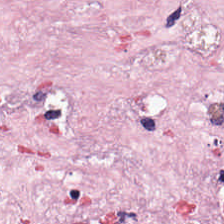Formalin-fixed paraffin-embedded section. H&E. The tissue type is desmoplastic stroma.
